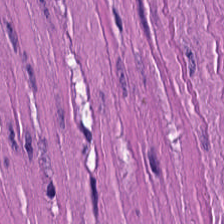Stain: hematoxylin and eosin.
Tile size: 224×224 px tile.
Resolution: 0.5 µm/px.
Predominant tissue: muscularis.
